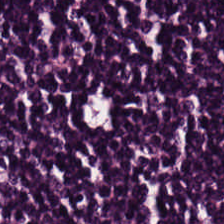Hematoxylin-and-eosin stained section. Tissue: lymphocyte aggregate.
